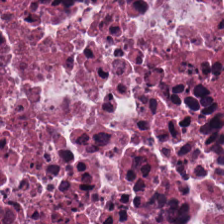The tissue here is debris.
